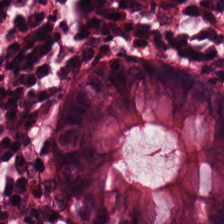This field is non-neoplastic colon mucosa.
